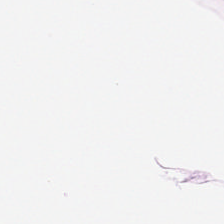H&E stain; 20× equivalent magnification. Predominantly fat tissue.
